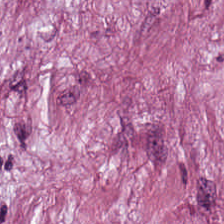Brightfield microscopy · H&E.
Q: What is shown in this field?
A: The field shows desmoplastic stroma.
